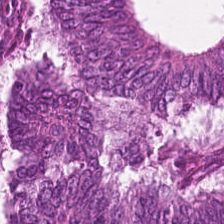H&E-stained tissue section showing tumor epithelium.
